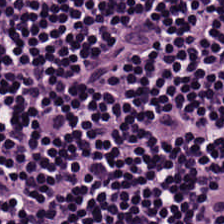H&E-stained tissue section · brightfield — Tissue class = lymphocytic infiltrate.
